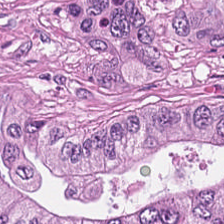H&E. Predominantly malignant epithelium.
